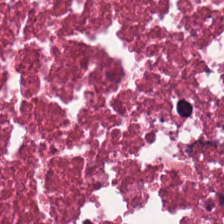H&E stain; 224×224 px tile — Q: What tissue type is shown here?
A: The field shows necrotic debris.
